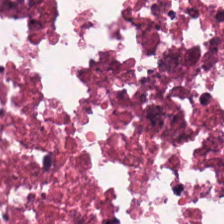Necrotic debris.
